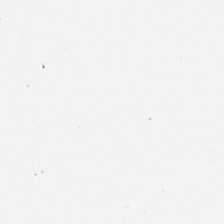No tissue.
